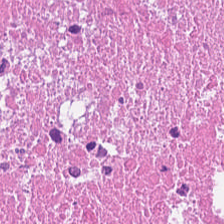H&E — The predominant tissue is necrotic debris.
